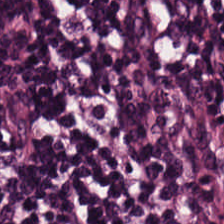Predominant tissue = lymphocytes.
